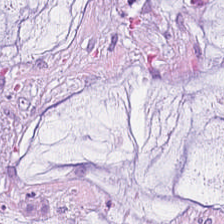H&E. 224×224 pixel tile.
This patch shows mucin.
